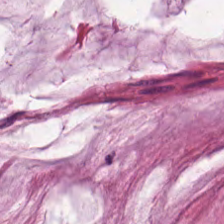H&E. Brightfield microscopy — Predominantly mucus.
